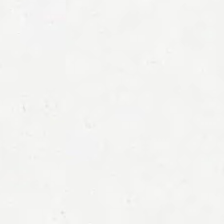Background (no tissue).
